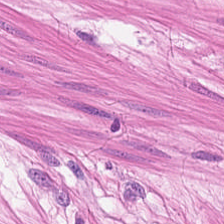H&E.
Classification = smooth muscle.
